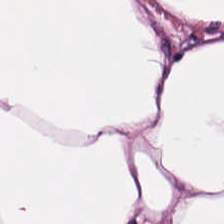Hematoxylin-and-eosin stained section. Showing fat tissue.
